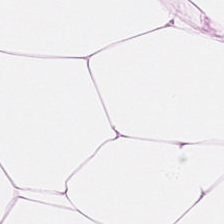H&E-stained tissue section — Showing adipocytes.
